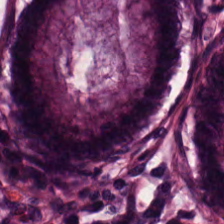H&E patch showing benign colonic mucosa.
